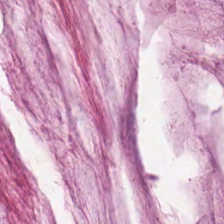224×224 px tile; hematoxylin-and-eosin stained section — This field is extracellular mucin.
